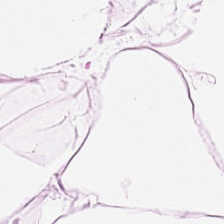Whole-slide-image patch · hematoxylin and eosin. Finding — adipose tissue.
